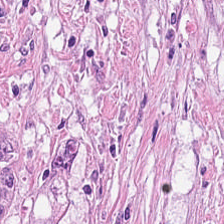Stain: hematoxylin-and-eosin stained section.
Tissue class: desmoplastic stroma.
